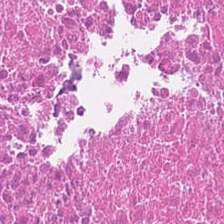Hematoxylin-and-eosin stained section.
Tissue — debris.
